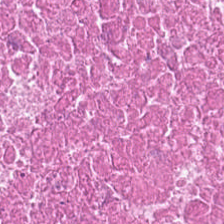Hematoxylin-and-eosin stained section.
Debris.
